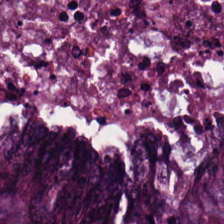Hematoxylin-and-eosin stained section.
This patch shows colorectal adenocarcinoma epithelium.
